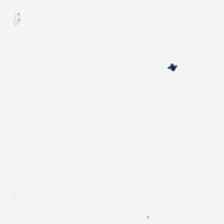FFPE tissue section. 224×224 px tile. H&E — {"content": "no tissue"}
